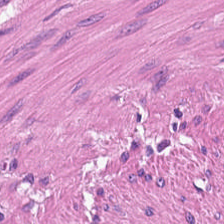H&E; 20× equivalent magnification. Showing smooth-muscle tissue.
